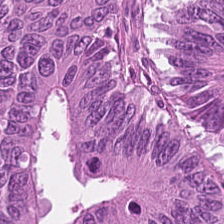Q: What is shown in this field?
A: Malignant epithelium.
